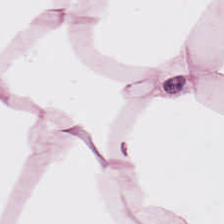FFPE · hematoxylin-and-eosin stained section — Q: What does this patch show?
A: This is fat tissue.
